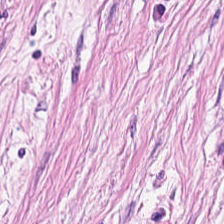H&E-stained tissue section. FFPE tissue section. The predominant tissue is tumor-associated stroma.
